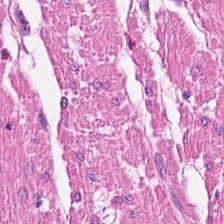H&E stain. FFPE tissue section. Brightfield microscopy — The tissue is smooth muscle.
